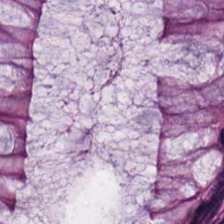Hematoxylin-and-eosin stained section — Non-neoplastic colon mucosa.
